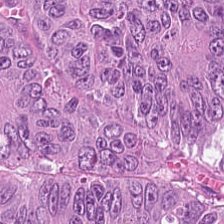H&E patch showing malignant epithelium.
